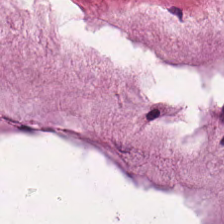224×224 px tile; brightfield; H&E-stained tissue section. Q: What is shown here?
A: This is extracellular mucin.
